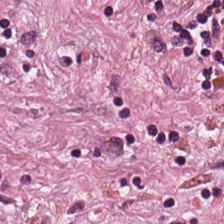Stain: H&E stain.
Classification: cancer-associated stroma.
